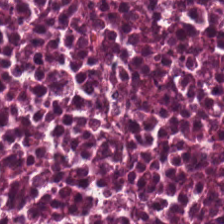FFPE. Hematoxylin and eosin.
Tissue class: necrotic debris.
